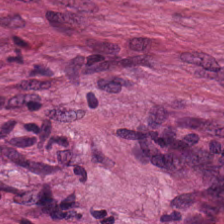H&E stain — The tissue here is tumor stroma.
